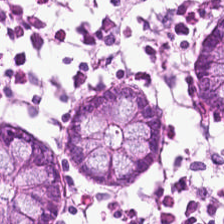H&E-stained tissue section — The tissue here is non-neoplastic colon mucosa.
